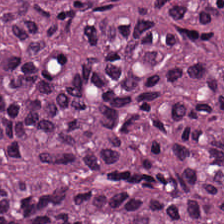FFPE tissue section; hematoxylin and eosin. Tissue: adenocarcinoma.
